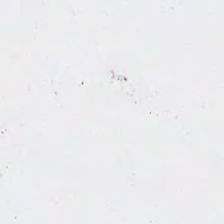H&E — Background — no tissue in this field.
